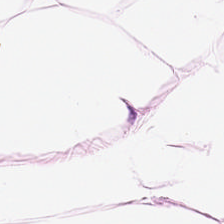Stain: hematoxylin-and-eosin stained section.
Tissue class: adipocytes.
